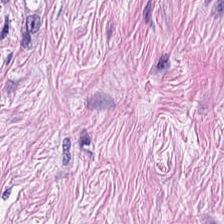H&E-stained tissue section; 224×224 pixel tile. The predominant tissue is cancer-associated stroma.
